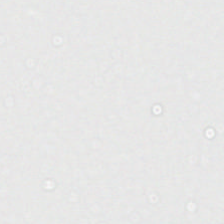Brightfield · H&E stain. This field is background (no tissue).
